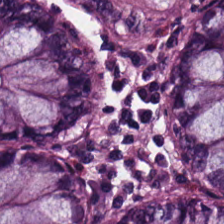Hematoxylin and eosin · brightfield. The predominant tissue is normal colon mucosa.
